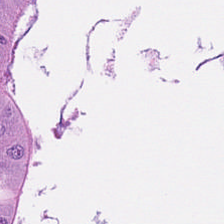Q: What is shown here?
A: The field shows colorectal adenocarcinoma epithelium.
